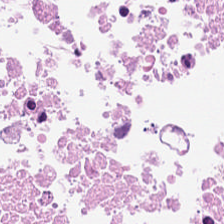20× equivalent magnification. Hematoxylin-and-eosin stained section — Q: Identify the tissue.
A: Cellular debris.
